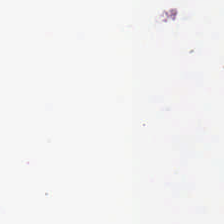Hematoxylin and eosin. Background — no tissue in this field.
